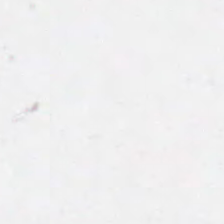No tissue present; background only.
